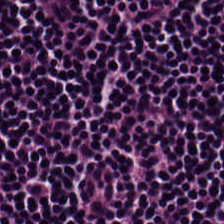The classification is lymphocytic infiltrate.
